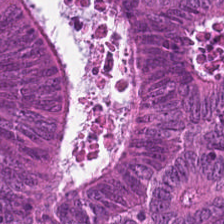Hematoxylin-and-eosin stained section. 0.5 µm/px. FFPE.
Q: What type of tissue is this?
A: It is colorectal adenocarcinoma.
